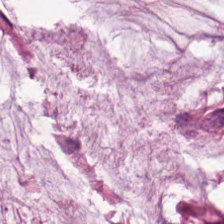H&E-stained tissue section. This field is extracellular mucin.
